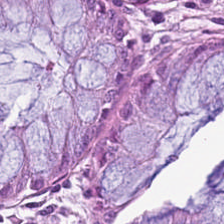Hematoxylin and eosin. Tissue = normal colon mucosa.
